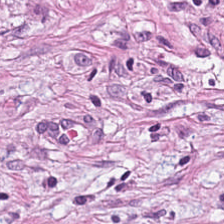0.5 µm/px. H&E stain.
Showing cancer-associated stroma.
